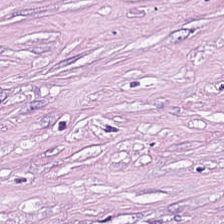FFPE · H&E.
The predominant tissue is cancer-associated stroma.
